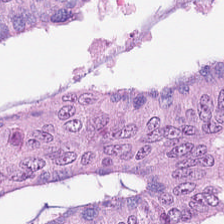Hematoxylin-and-eosin stained section; WSI patch — This field is tumor epithelium.
